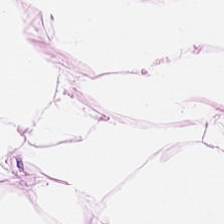H&E-stained tissue section; formalin-fixed paraffin-embedded section; 0.5 µm/px. Classification = adipocytes.
